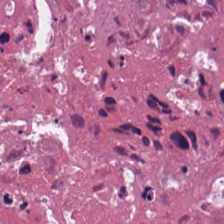H&E. Tissue type = necrotic debris.
